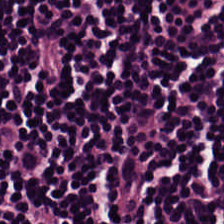H&E — The tissue type is lymphocytic infiltrate.
